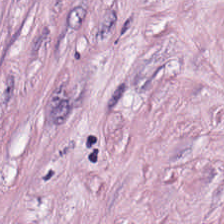Stain: H&E stain.
Acquisition: whole-slide-image patch.
Preparation: formalin-fixed paraffin-embedded section.
Tissue class: cancer-associated stroma.
